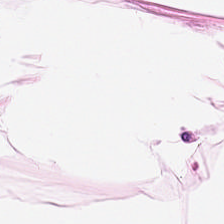Classification = fat tissue.
